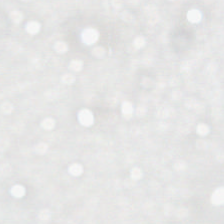H&E. 0.5 µm/px. FFPE. Q: What is shown here?
A: It is background.
